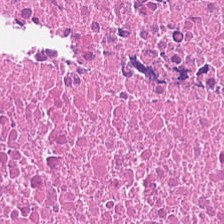The predominant tissue is debris.
